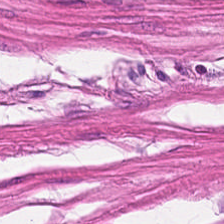Tissue class — muscularis.
